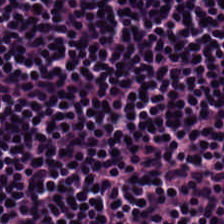Tissue class — lymphoid infiltrate.
